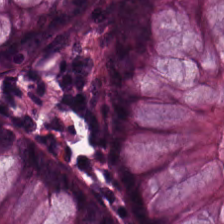224×224 px patch · H&E-stained tissue section — {"tissue_type": "non-neoplastic colon mucosa"}
